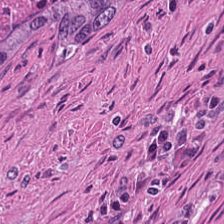WSI patch. Hematoxylin-and-eosin stained section. The predominant tissue is debris.
